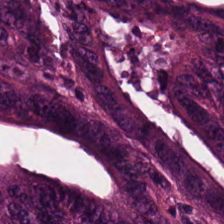Hematoxylin and eosin. 224×224 px tile.
Tissue class = tumor epithelium.
